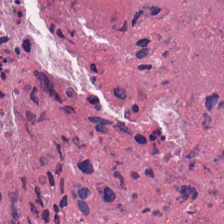H&E stain — Tissue class — necrotic debris.
